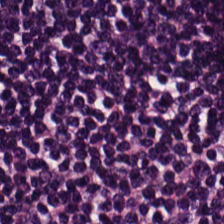H&E — lymphoid infiltrate.
